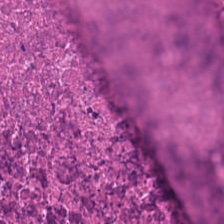WSI patch. FFPE tissue section. Hematoxylin and eosin — Tissue type: cellular debris.
